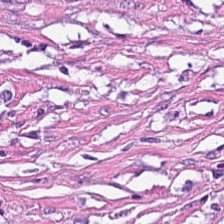The tissue class is tumor stroma.
